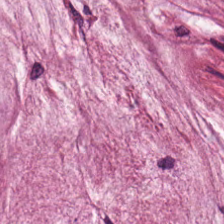Stain: hematoxylin and eosin.
Tissue class: mucus.
